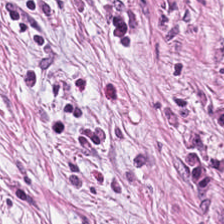Stain: hematoxylin and eosin.
Tissue class: desmoplastic stroma.
